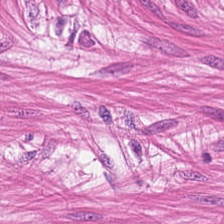Stain: H&E.
Classification: smooth muscle.
